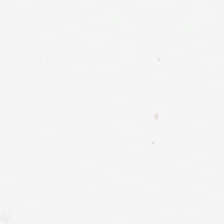H&E-stained tissue section. 224×224 pixel tile — Classification: background.
